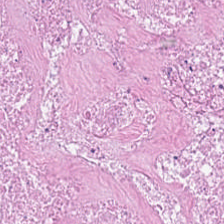Stain: H&E.
Classification: necrotic debris.
